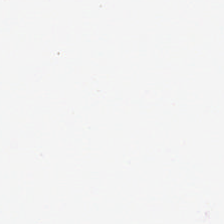H&E stain — Field content: empty background.
